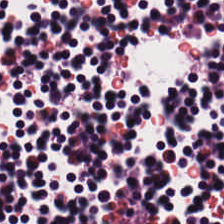Stain: H&E-stained tissue section.
Tile size: 224×224 px patch.
Resolution: 0.5 µm per pixel.
Tissue type: lymphocyte aggregate.
